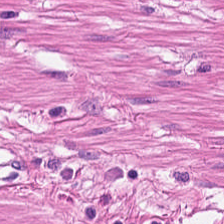Hematoxylin and eosin. This patch shows smooth muscle.
